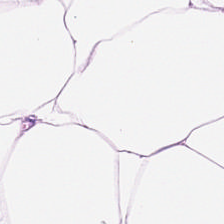The tissue is adipose tissue.
